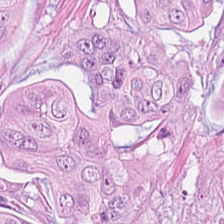H&E stain.
Tissue type = colorectal adenocarcinoma.
